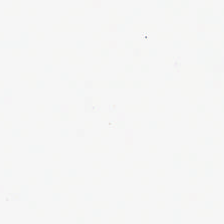H&E-stained tissue section; 224×224 pixel tile — The classification is empty background.
